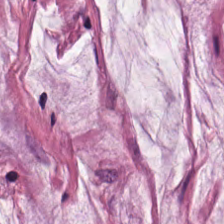H&E. Showing mucus.
